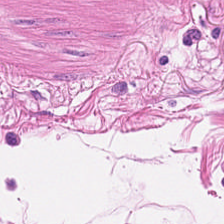Stain: H&E stain.
Tile size: 224×224 px tile.
Tissue type: muscularis.
